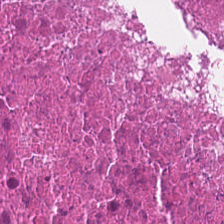H&E. Predominantly debris.
